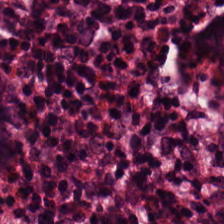H&E stain; brightfield — Q: What is the predominant tissue type?
A: It is normal colonic mucosa.
